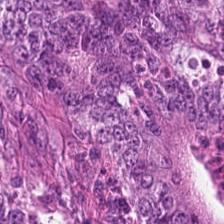Brightfield microscopy; 0.5 µm per pixel; H&E. Predominantly adenocarcinoma.
